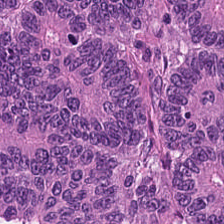Hematoxylin and eosin. Histology → tumor epithelium.
